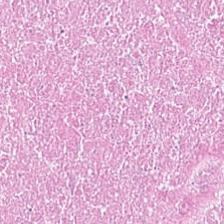H&E stain.
Q: What tissue is shown?
A: The field shows necrotic debris.
